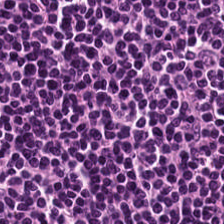Q: What tissue is shown?
A: It is lymphoid infiltrate.
